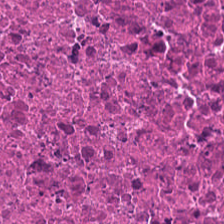Hematoxylin-and-eosin section: debris.
